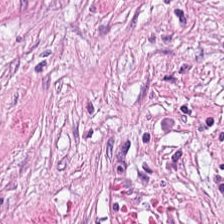H&E-stained tissue section. Q: What type of tissue is this?
A: It is cancer-associated stroma.
